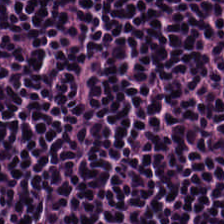H&E-stained tissue section · formalin-fixed paraffin-embedded section. Q: What is shown here?
A: It is lymphoid infiltrate.
